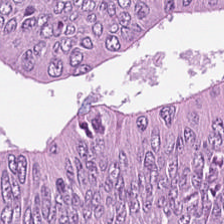Formalin-fixed paraffin-embedded section. H&E-stained tissue section — This field is malignant epithelium.
